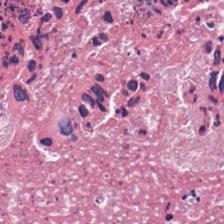Hematoxylin-and-eosin stained section.
Showing debris.
